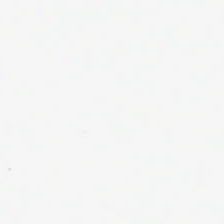H&E-stained tissue section.
Background — no tissue in this field.
